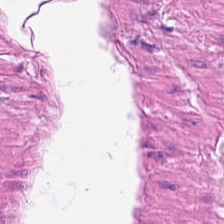H&E-stained tissue section — Predominantly muscularis.
